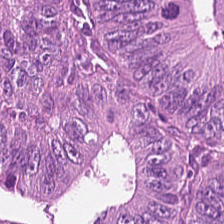224×224 px tile; hematoxylin-and-eosin stained section; 0.5 microns per pixel — Showing adenocarcinoma.
